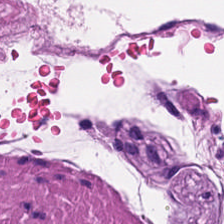224×224 px patch; brightfield microscopy; H&E-stained tissue section. Tissue class: muscularis.
